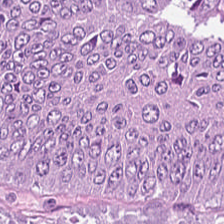The classification is colorectal adenocarcinoma.
